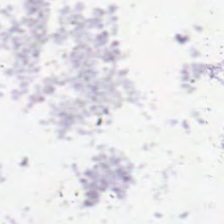0.5 microns per pixel. H&E. Formalin-fixed paraffin-embedded section — The field content is empty background.
